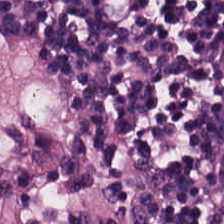H&E-stained tissue section.
Lymphocytes.
